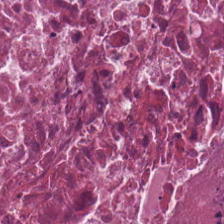H&E.
The predominant tissue is debris.
